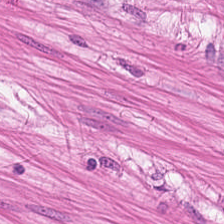Stain: hematoxylin-and-eosin stained section.
Preparation: FFPE tissue section.
Tissue class: smooth muscle.
